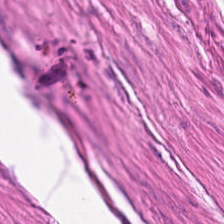Brightfield microscopy; hematoxylin-and-eosin stained section. Tissue class = smooth-muscle tissue.
